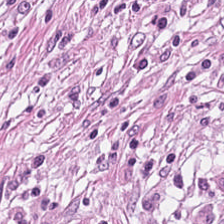H&E — Classification = tumor-associated stroma.
